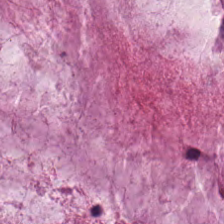Stain: H&E.
Tile size: 224×224 pixel tile.
Tissue class: mucin.
